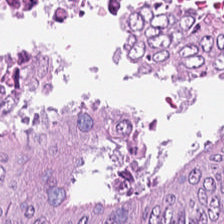H&E — Tissue type = adenocarcinoma.
